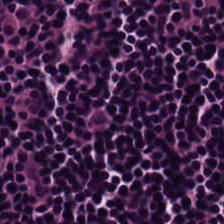0.5 µm/px · hematoxylin-and-eosin stained section.
This field is lymphocytic infiltrate.
